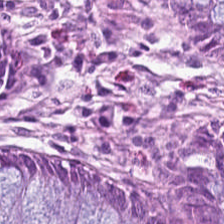WSI patch; 224×224 px patch; H&E stain. This field is non-neoplastic colon mucosa.
